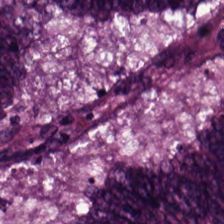Hematoxylin-and-eosin stained section. This field is colorectal adenocarcinoma.
